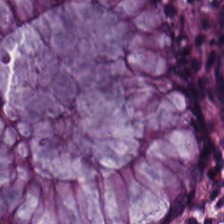Hematoxylin and eosin. Predominant tissue = normal colon mucosa.
